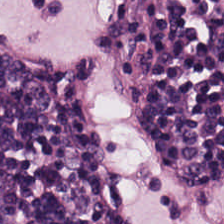224×224 pixel tile; hematoxylin and eosin.
Lymphocytes.
